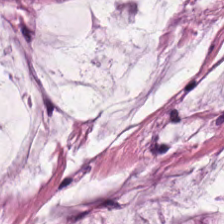0.5 µm per pixel; H&E-stained tissue section; FFPE.
Tissue: mucus.
